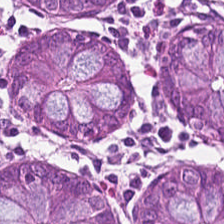Hematoxylin-and-eosin stained section — Tissue class: benign colonic mucosa.
